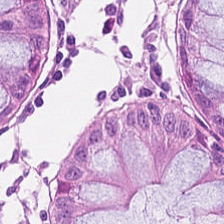H&E stain. Q: What tissue is shown?
A: This is benign colonic mucosa.
